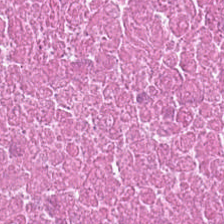H&E; brightfield microscopy — Q: Identify the tissue.
A: The field shows necrotic debris.
